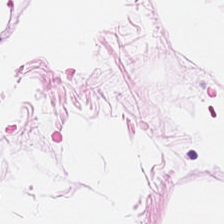H&E · 0.5 microns per pixel. This patch shows fat tissue.
